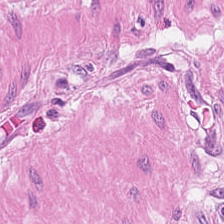Stain: hematoxylin-and-eosin stained section.
Tissue: smooth-muscle tissue.
